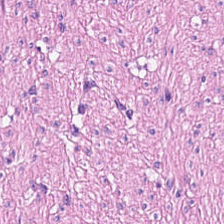H&E stain. The tissue here is smooth muscle.
